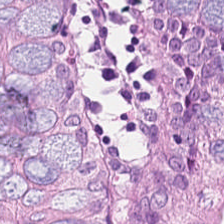Hematoxylin and eosin · 224×224 pixel tile. Q: What does this patch show?
A: The field shows normal colon mucosa.
